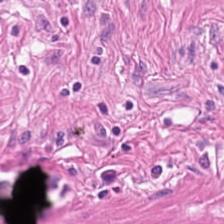Hematoxylin and eosin — Q: What tissue is shown?
A: It is smooth-muscle tissue.
